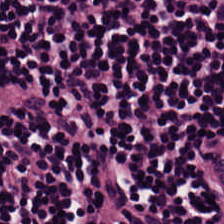Stain: H&E-stained tissue section.
Acquisition: brightfield.
Classification: lymphoid infiltrate.
